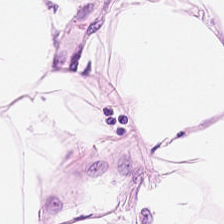{"tissue_type": "adipocytes"}
